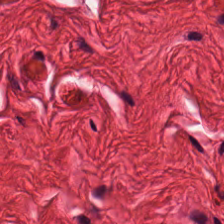Stain: hematoxylin-and-eosin stained section.
Tissue type: muscularis.
